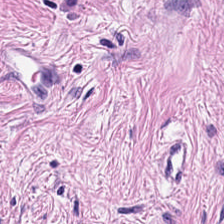H&E-stained tissue section — This patch shows cancer-associated stroma.
